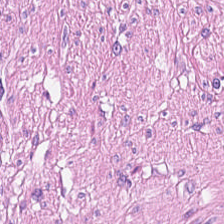H&E; 224×224 pixel tile — The predominant tissue is muscularis.
